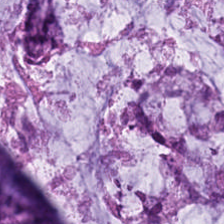{"tissue_type": "mucus"}
